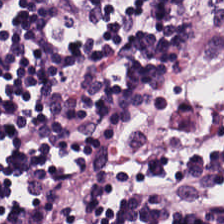H&E-stained tissue section — The tissue here is lymphocyte aggregate.
